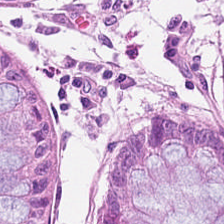H&E-stained tissue section — Q: What does this patch show?
A: The field shows normal colon mucosa.
